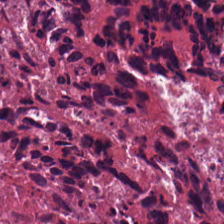H&E; brightfield microscopy; 0.5 microns per pixel. Showing debris.
